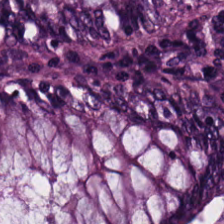H&E stain. Impression → normal colon mucosa.
